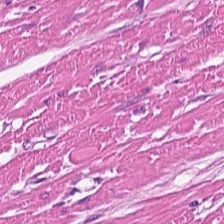Hematoxylin-and-eosin stained section. 0.5 µm/px. Tissue class = smooth muscle.
